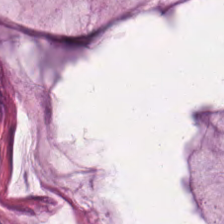H&E.
Tissue = mucin.
